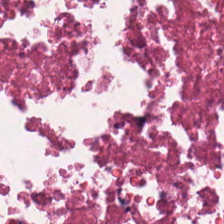Brightfield microscopy; H&E stain. {"tissue_type": "cellular debris"}
